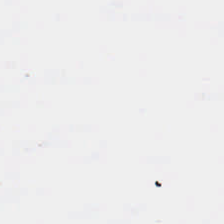224×224 px tile; hematoxylin and eosin — Classification — no tissue.
